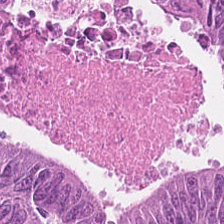Hematoxylin-and-eosin stained section. Colorectal adenocarcinoma epithelium.
